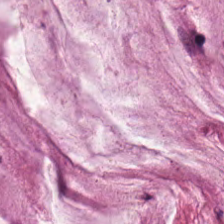Formalin-fixed paraffin-embedded section. Hematoxylin and eosin.
Q: What is shown in this field?
A: This is mucin.
